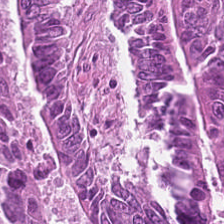H&E — Malignant epithelium.
